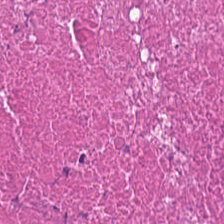Hematoxylin and eosin — The tissue class is necrotic debris.
